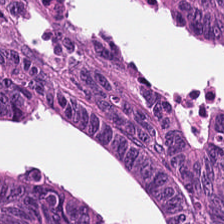H&E. 0.5 microns per pixel.
Tissue: tumor epithelium.
